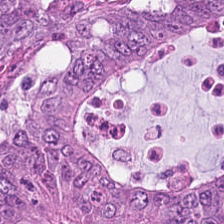Predominantly colorectal adenocarcinoma.
